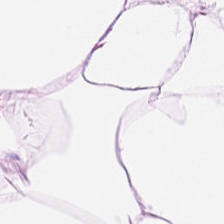Hematoxylin and eosin — Predominant tissue: adipocytes.
